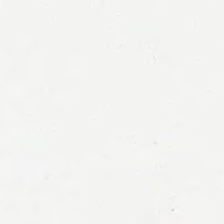Histology → background (no tissue).
